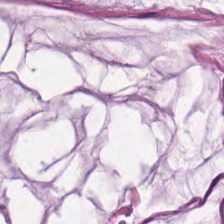Hematoxylin and eosin — Predominantly mucin.
